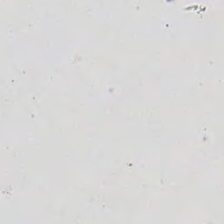FFPE. H&E-stained tissue section — {"content": "no tissue"}
